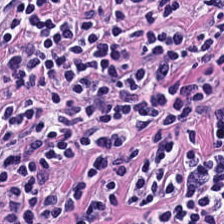Q: What type of tissue is this?
A: The field shows lymphocyte aggregate.
